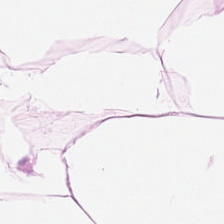Hematoxylin and eosin; 0.5 µm/px.
Histology — adipose.
